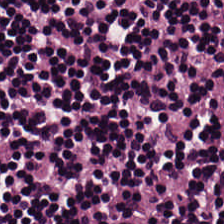Hematoxylin-and-eosin stained section. Lymphoid infiltrate.
